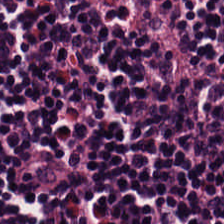H&E — Tissue type = lymphocytic infiltrate.
